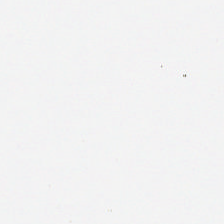224×224 pixel tile; H&E-stained tissue section — Background.
